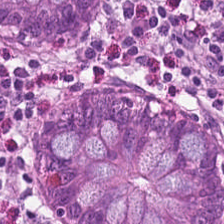Benign colonic mucosa.
